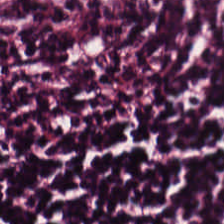H&E-stained tissue section. WSI patch. Tissue — lymphocyte aggregate.
